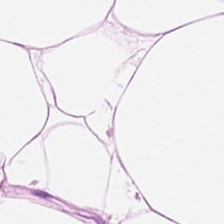Q: Identify the tissue.
A: The field shows adipose tissue.
